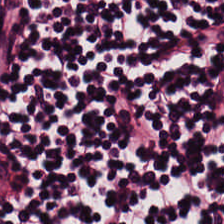Stain: hematoxylin-and-eosin stained section.
Tile size: 224×224 px patch.
Preparation: FFPE.
Tissue class: lymphocytic infiltrate.
